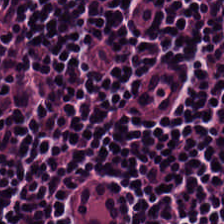Tissue class: lymphocyte aggregate.
